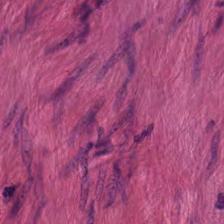Stain: H&E.
Acquisition: brightfield.
Resolution: 0.5 µm per pixel.
Tissue type: smooth muscle.
